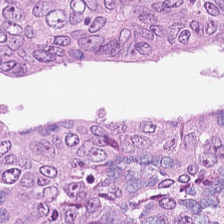Stain: hematoxylin and eosin.
Tissue class: malignant epithelium.
